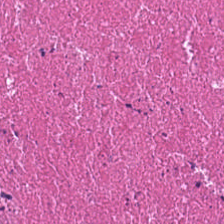Q: Identify the tissue.
A: This is necrotic debris.
